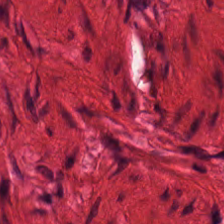H&E-stained tissue section; FFPE tissue section. Tissue: smooth muscle.
